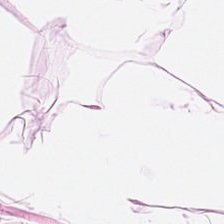Stain: hematoxylin and eosin.
Tile size: 224×224 px patch.
Classification: fat tissue.
